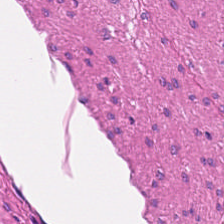Formalin-fixed paraffin-embedded section · hematoxylin-and-eosin stained section. Tissue: muscularis.
